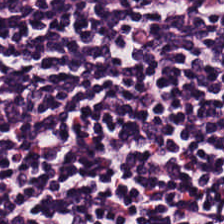Hematoxylin-and-eosin stained section — Predominantly lymphocyte aggregate.
